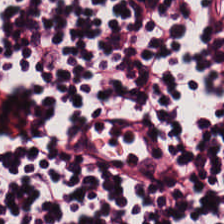Stain: hematoxylin and eosin.
Classification: lymphoid infiltrate.
